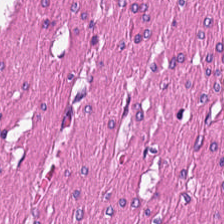Hematoxylin-and-eosin stained section.
Q: What tissue type is shown here?
A: Smooth-muscle tissue.
